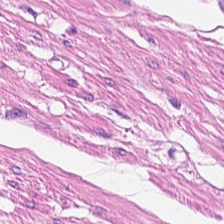Stain: H&E.
Acquisition: brightfield microscopy.
Predominant tissue: smooth-muscle tissue.
